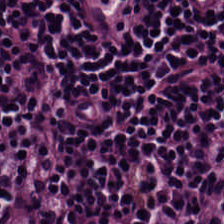H&E stain.
{"tissue_type": "lymphocytic infiltrate"}
